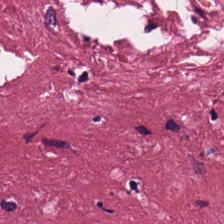Hematoxylin-and-eosin stained section. Q: What is shown in this field?
A: This is tumor-associated stroma.
